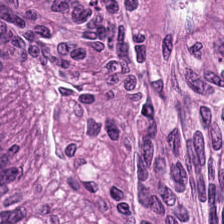FFPE tissue section · hematoxylin-and-eosin stained section. Impression → colorectal adenocarcinoma epithelium.
